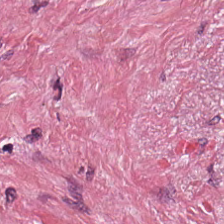Hematoxylin-and-eosin stained section; 224×224 pixel tile. Desmoplastic stroma.
